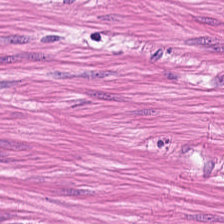H&E-stained tissue section.
Predominantly muscularis.
